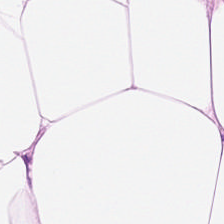H&E stain. Q: What is shown here?
A: Adipocytes.
